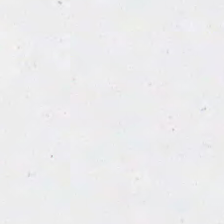FFPE; H&E-stained tissue section — This field is background (no tissue).
